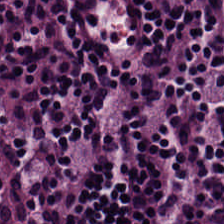Predominant tissue — lymphoid infiltrate.
